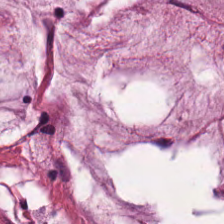Whole-slide-image patch. H&E-stained tissue section.
Predominantly extracellular mucin.
